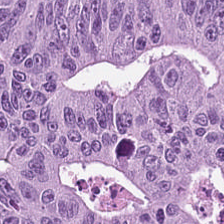H&E — Histology — colorectal adenocarcinoma epithelium.
